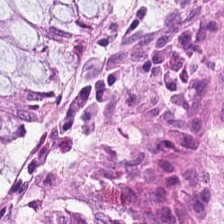Hematoxylin-and-eosin stained section — Q: What tissue is shown?
A: Normal colonic mucosa.
